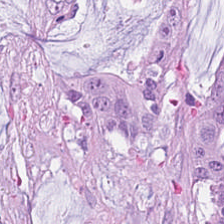224×224 px patch. H&E stain. Tissue = mucus.
